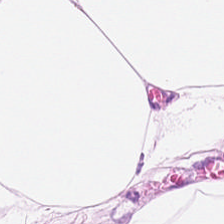{"tissue_type": "fat tissue"}
